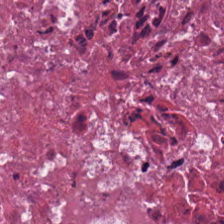Brightfield; H&E-stained tissue section — This field is debris.
